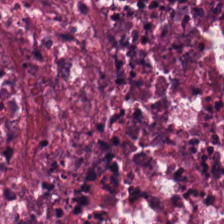Formalin-fixed paraffin-embedded section. H&E-stained tissue section. 224×224 px patch. This patch shows debris.
